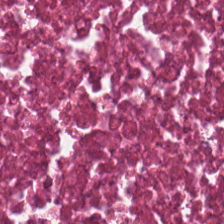{"tissue_type": "necrotic debris"}
